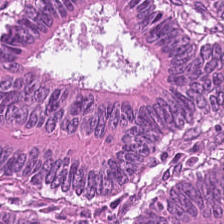H&E. 224×224 px patch.
Q: Classify this patch.
A: The field shows tumor epithelium.
